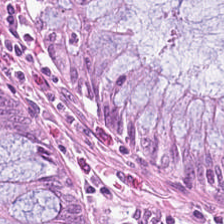H&E stain; FFPE tissue section.
Impression — normal colonic mucosa.
